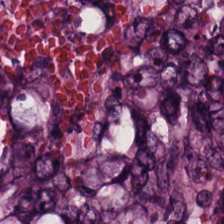FFPE tissue section. H&E stain. 0.5 microns per pixel — Adenocarcinoma.
